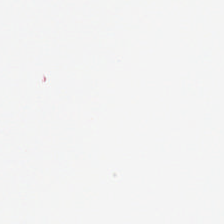Stain: hematoxylin-and-eosin stained section.
Field content: empty background.
